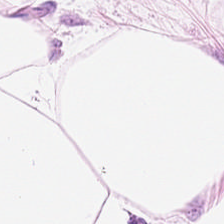This patch shows fat tissue.
